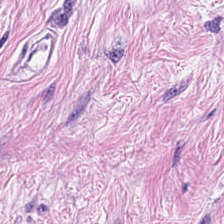Stain: H&E stain.
Tissue: tumor-associated stroma.
